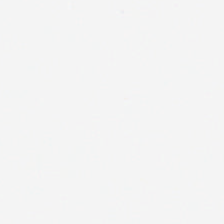H&E-stained tissue section.
This patch shows background (no tissue).
